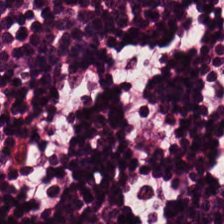Q: Classify this patch.
A: Lymphocytic infiltrate.
